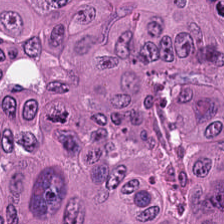0.5 µm/px; H&E stain.
This field is colorectal adenocarcinoma epithelium.
